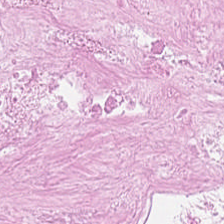H&E. Predominantly cellular debris.
